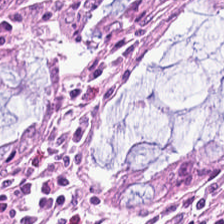Stain: H&E stain.
Tissue: benign colonic mucosa.
